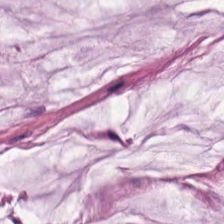H&E stain. Histology → mucin.
